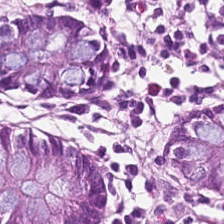FFPE; 20× equivalent magnification; H&E-stained tissue section.
The tissue type is normal colonic mucosa.
